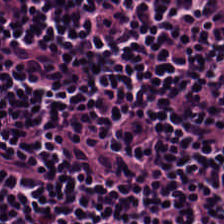FFPE; H&E stain; 224×224 px patch.
Showing lymphocytes.
